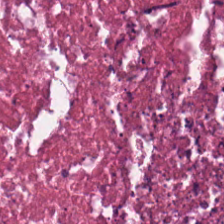H&E-stained tissue section — Q: What type of tissue is this?
A: It is cellular debris.
